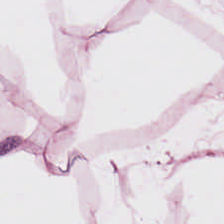H&E-stained tissue section.
The predominant tissue is adipose.
